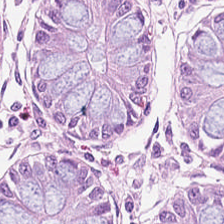Q: Classify this patch.
A: Non-neoplastic colon mucosa.
